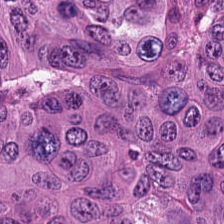Impression — adenocarcinoma.
